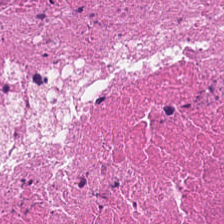224×224 px tile; 0.5 microns per pixel; H&E stain — Q: What is shown here?
A: This is necrotic debris.
